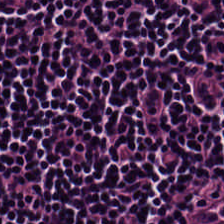Hematoxylin and eosin — Tissue: lymphocyte aggregate.
